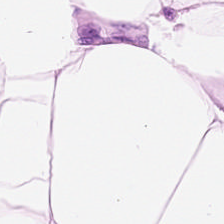Stain: hematoxylin-and-eosin stained section.
Tissue class: adipocytes.
